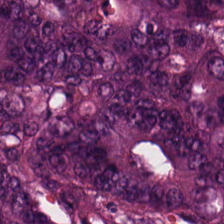H&E-stained tissue section. 224×224 px patch.
Showing colorectal adenocarcinoma epithelium.
